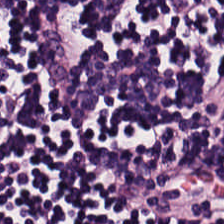H&E-stained tissue section.
Predominantly lymphocytic infiltrate.
